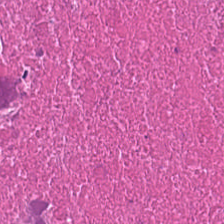H&E stain.
The tissue here is cellular debris.
